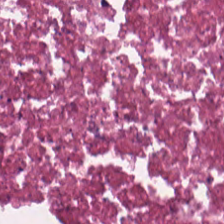Hematoxylin and eosin; 0.5 microns per pixel; formalin-fixed paraffin-embedded section — Cellular debris.
